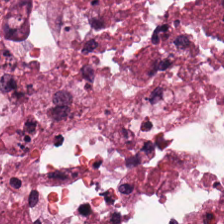Predominant tissue — cellular debris.
